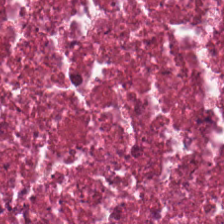This patch shows debris.
